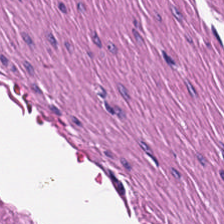H&E-stained tissue section.
Tissue class: muscularis.
